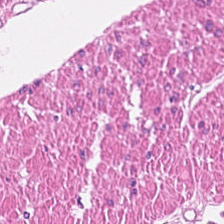H&E-stained tissue section · brightfield microscopy.
Predominant tissue = smooth-muscle tissue.
